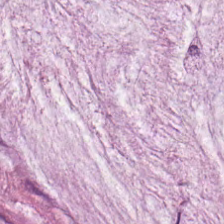Brightfield; hematoxylin and eosin. Q: What tissue type is shown here?
A: This is mucus.
